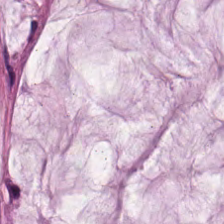Brightfield microscopy · 224×224 pixel tile · H&E stain.
Q: What does this patch show?
A: The field shows mucin.
